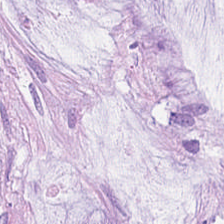H&E. This field is extracellular mucin.
